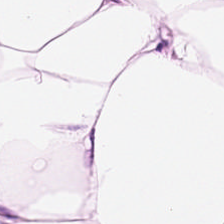H&E-stained tissue section · 0.5 microns per pixel. The tissue is adipose tissue.
